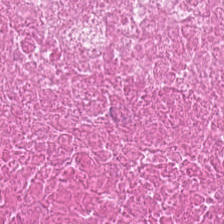Brightfield; H&E.
Cellular debris.
